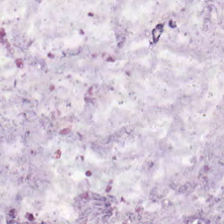Hematoxylin and eosin. Classification — extracellular mucin.
